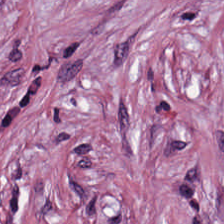WSI patch. 20× equivalent magnification. H&E — {"tissue_type": "tumor-associated stroma"}
